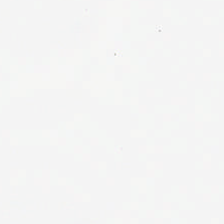H&E stain. Brightfield microscopy. 20× equivalent magnification.
Classification: no tissue.
